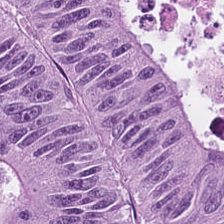224×224 px tile · hematoxylin-and-eosin stained section · 0.5 microns per pixel.
The classification is colorectal adenocarcinoma epithelium.
